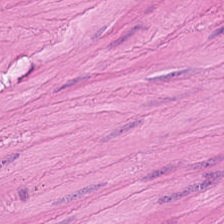H&E-stained tissue section.
The tissue type is smooth-muscle tissue.
